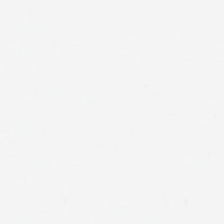Empty field — background.
